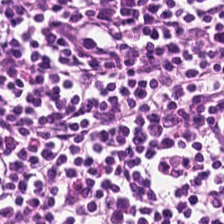This patch shows lymphocytes.
